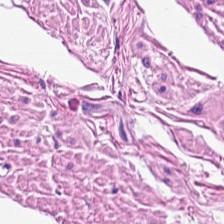H&E stain; 0.5 µm/px; 224×224 px patch.
Tissue: smooth-muscle tissue.
